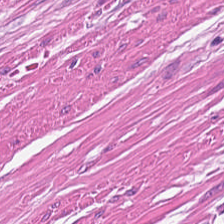Tissue type: smooth muscle.
